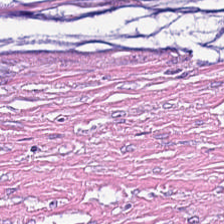Classification — desmoplastic stroma.
